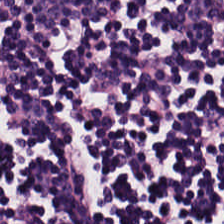Hematoxylin-and-eosin stained section.
The tissue here is lymphocyte aggregate.
